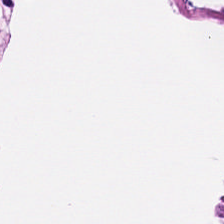Stain: H&E.
Tissue type: smooth muscle.
